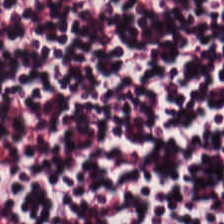H&E-stained tissue section — The tissue here is lymphoid infiltrate.
